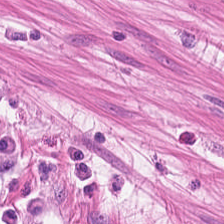Stain: H&E-stained tissue section.
Classification: smooth muscle.
